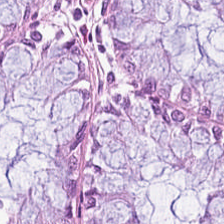WSI patch; hematoxylin-and-eosin stained section; 20× equivalent magnification — Tissue: normal colonic mucosa.
